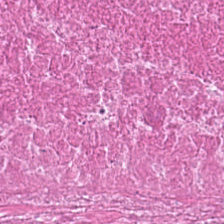The tissue type is debris.
